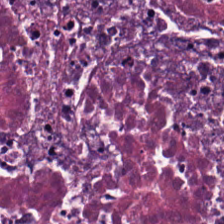Stain: H&E-stained tissue section.
Preparation: formalin-fixed paraffin-embedded section.
Tissue class: debris.
